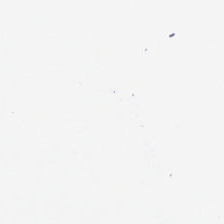H&E.
This patch shows background.
